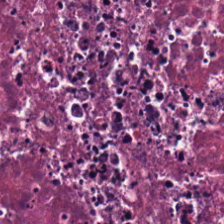H&E stain — Predominant tissue: cellular debris.
